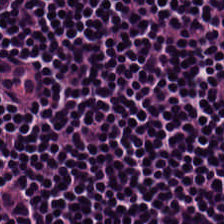224×224 pixel tile; H&E; 0.5 microns per pixel.
Tissue type — lymphocytic infiltrate.
